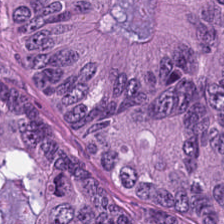H&E-stained tissue section.
Q: Identify the tissue.
A: This is tumor epithelium.
